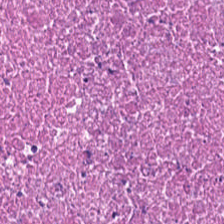Q: What tissue type is shown here?
A: It is cellular debris.
